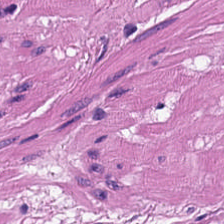Hematoxylin and eosin. Finding → muscularis.
